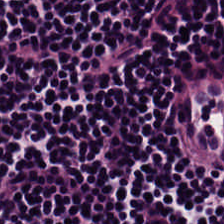Brightfield; formalin-fixed paraffin-embedded section; H&E-stained tissue section. This patch shows lymphocytic infiltrate.
